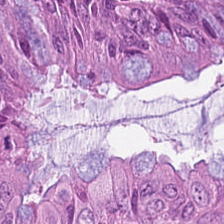Tissue — malignant epithelium.
